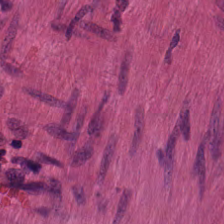H&E-stained tissue section. Showing smooth muscle.
